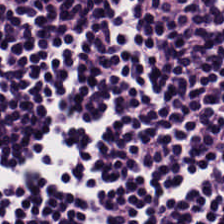Stain: hematoxylin and eosin.
Acquisition: brightfield microscopy.
Classification: lymphoid infiltrate.
